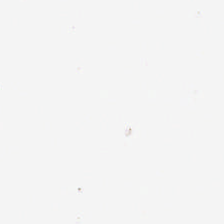Stain: H&E-stained tissue section.
Content: empty background.
